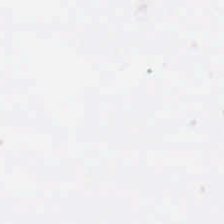H&E-stained tissue section. {"content": "background"}
